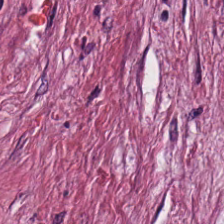{"tissue_type": "tumor stroma"}
